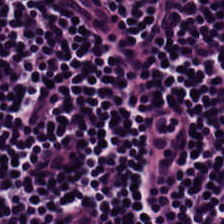0.5 µm per pixel · H&E. The tissue here is lymphocytes.
